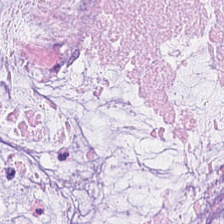Stain: H&E-stained tissue section.
Acquisition: WSI patch.
Classification: mucus.
